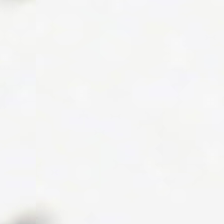H&E stain — This patch shows background.
